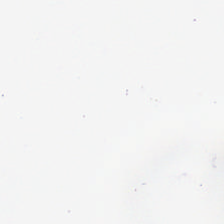224×224 px tile. H&E-stained tissue section.
Field content: background (no tissue).
